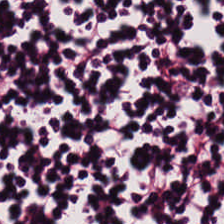Tissue class: lymphocyte aggregate.
